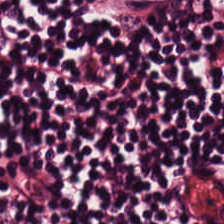Formalin-fixed paraffin-embedded section · H&E stain.
Classification — lymphocytes.
